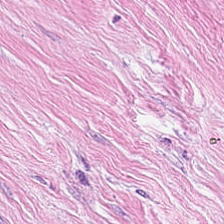Hematoxylin and eosin. The tissue is tumor stroma.
